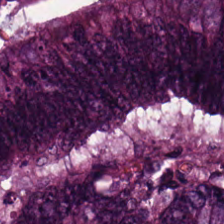Stain: H&E-stained tissue section.
Resolution: 0.5 µm/px.
Predominant tissue: malignant epithelium.
